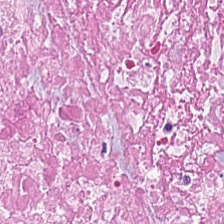0.5 microns per pixel; H&E-stained tissue section. Tissue class — cellular debris.
